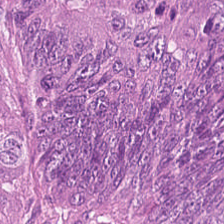Histology — malignant epithelium.
